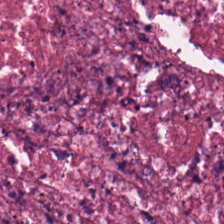H&E. This patch shows necrotic debris.
